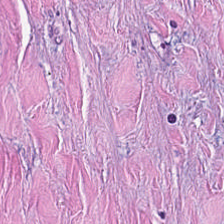H&E-stained tissue section. This patch shows tumor stroma.
